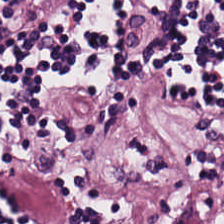Stain: hematoxylin-and-eosin stained section.
Tissue type: lymphocyte aggregate.
